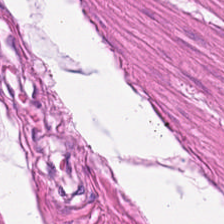FFPE tissue section · H&E. The tissue type is smooth-muscle tissue.
